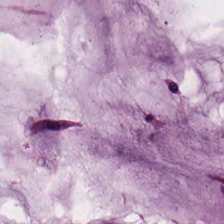H&E — This patch shows mucus.
